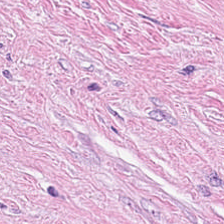Hematoxylin-and-eosin stained section; 0.5 µm per pixel — The tissue here is cancer-associated stroma.
